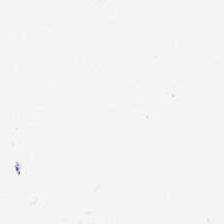WSI patch; H&E-stained tissue section. This patch shows background.
